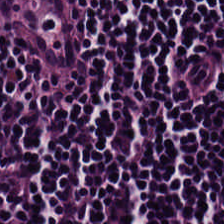H&E stain.
The tissue here is lymphocytes.
